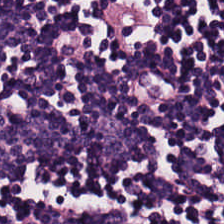Hematoxylin and eosin — Finding → lymphocyte aggregate.
